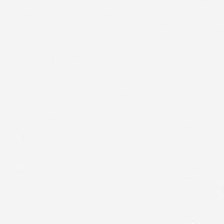Stain: H&E.
Content: no tissue.
